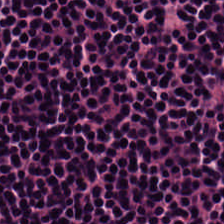Predominant tissue: lymphocytes.
